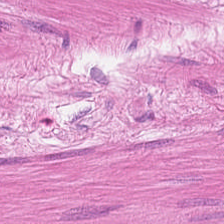Hematoxylin and eosin.
Predominantly muscularis.
